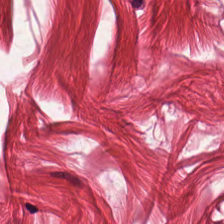224×224 px tile; H&E-stained tissue section — This field is muscularis.
